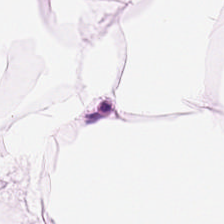This field is adipocytes.
